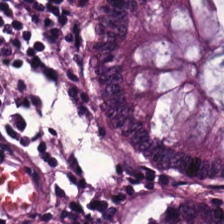Hematoxylin and eosin.
The tissue type is benign colonic mucosa.
